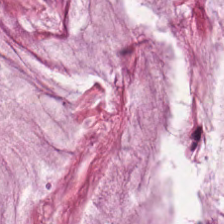Hematoxylin-and-eosin stained section — Tissue class: mucus.
